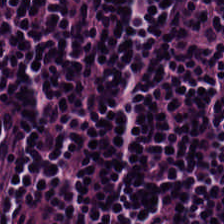H&E-stained section; the field shows lymphoid infiltrate.
